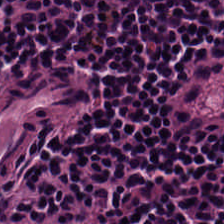Stain: H&E-stained tissue section.
Tissue class: lymphocytic infiltrate.
